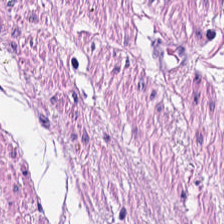224×224 px tile · hematoxylin and eosin · 0.5 microns per pixel.
The tissue class is smooth-muscle tissue.
